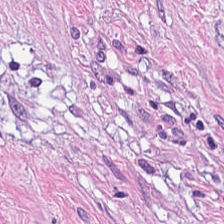Hematoxylin-and-eosin stained section. Q: Classify this patch.
A: The field shows tumor-associated stroma.
